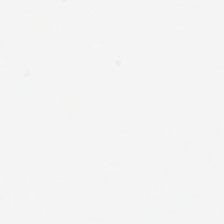No tissue present; background only.
